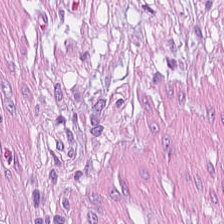0.5 microns per pixel. Hematoxylin and eosin — Tissue: tumor stroma.
